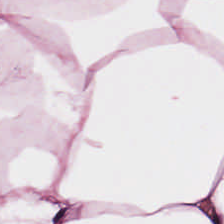Formalin-fixed paraffin-embedded section; whole-slide-image patch; H&E stain.
The predominant tissue is adipose.
